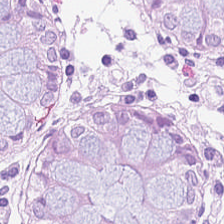Stain: H&E stain.
Acquisition: brightfield.
Preparation: formalin-fixed paraffin-embedded section.
Tissue type: benign colonic mucosa.
